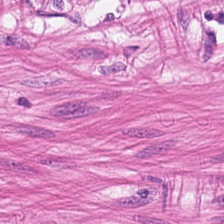Stain: hematoxylin-and-eosin stained section.
Predominant tissue: smooth muscle.
